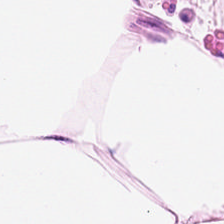H&E-stained tissue section. Impression → fat tissue.
